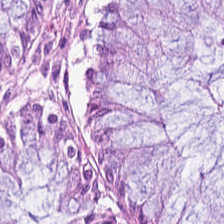Brightfield · H&E.
Q: What tissue type is shown here?
A: Normal colonic mucosa.
